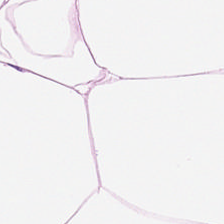224×224 px tile. WSI patch. H&E-stained tissue section. Adipocytes.
